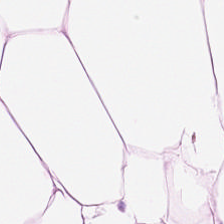224×224 pixel tile. H&E stain — The tissue here is adipose.
